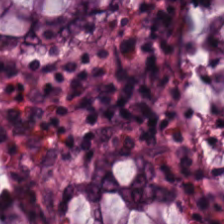H&E-stained tissue section — This field is benign colonic mucosa.
